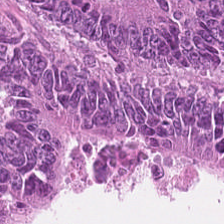H&E patch showing colorectal adenocarcinoma.
